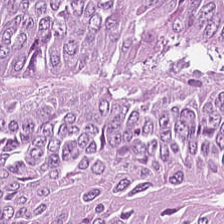This patch shows colorectal adenocarcinoma.
